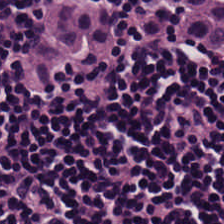H&E stain.
This patch shows lymphocytes.
